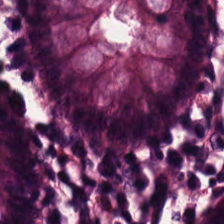H&E stain · WSI patch.
Tissue class: normal colon mucosa.
